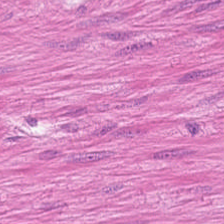Q: What tissue is shown?
A: It is muscularis.
